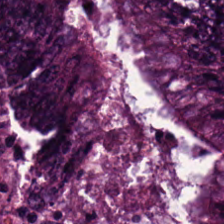H&E-stained tissue section; formalin-fixed paraffin-embedded section. Q: What is shown in this field?
A: It is colorectal adenocarcinoma.
